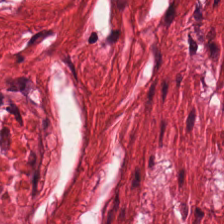Hematoxylin and eosin; brightfield; 0.5 µm per pixel — This patch shows smooth-muscle tissue.
